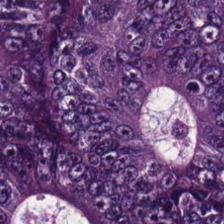0.5 µm/px; hematoxylin-and-eosin stained section; FFPE — The tissue here is tumor epithelium.
